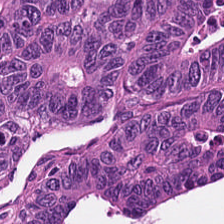Q: What tissue type is shown here?
A: This is colorectal adenocarcinoma epithelium.
